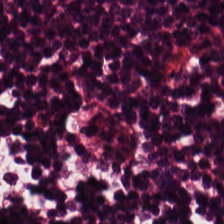{"tissue_type": "lymphocytes"}
